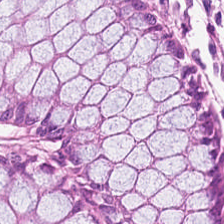Hematoxylin and eosin.
This patch shows normal colonic mucosa.
